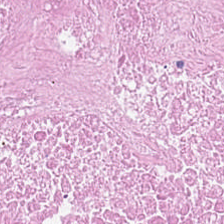Histology → debris.
